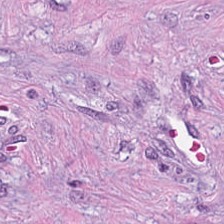Stain: H&E-stained tissue section.
Tissue: cancer-associated stroma.
